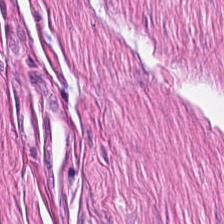H&E-stained tissue section; 0.5 microns per pixel.
Tissue type = smooth muscle.
